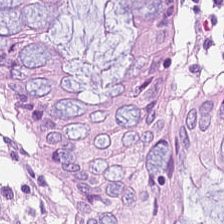H&E — Q: Identify the tissue.
A: Benign colonic mucosa.
